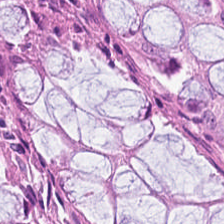Stain: hematoxylin-and-eosin stained section.
Tile size: 224×224 px patch.
Acquisition: brightfield microscopy.
Tissue class: non-neoplastic colon mucosa.
